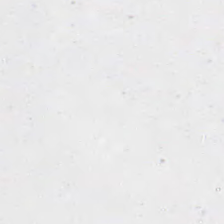H&E; 0.5 µm per pixel; 224×224 pixel tile.
Background — no tissue in this field.
